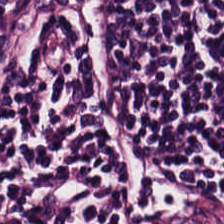Histology — lymphoid infiltrate.
